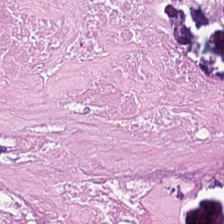Stain: hematoxylin-and-eosin stained section.
Tile size: 224×224 px patch.
Predominant tissue: cellular debris.
